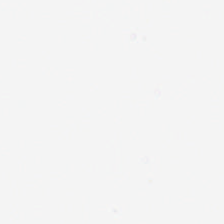This patch shows background (no tissue).
